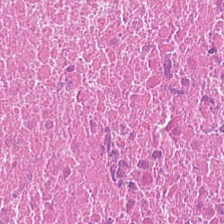Whole-slide-image patch · hematoxylin and eosin · 0.5 microns per pixel.
The tissue here is debris.
